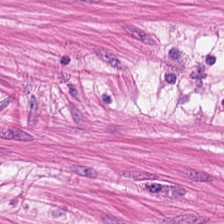Impression — smooth-muscle tissue.
